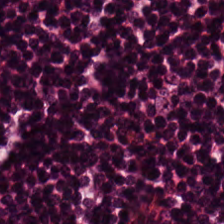H&E-stained tissue section — Showing lymphocytes.
